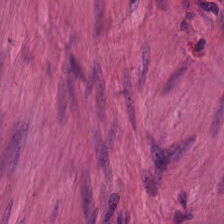Formalin-fixed paraffin-embedded section · hematoxylin and eosin — {"tissue_type": "smooth-muscle tissue"}
